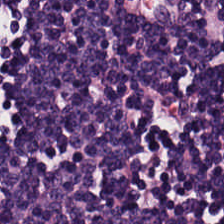H&E — Classification — lymphoid infiltrate.
